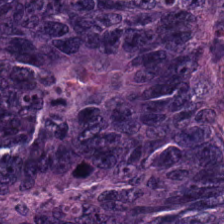Stain: H&E.
Preparation: formalin-fixed paraffin-embedded section.
Resolution: 0.5 microns per pixel.
Tissue: malignant epithelium.
